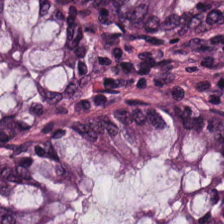H&E-stained tissue section.
The predominant tissue is benign colonic mucosa.
